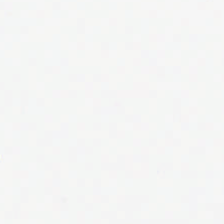H&E-stained tissue section · 0.5 µm per pixel — No tissue present; background only.
